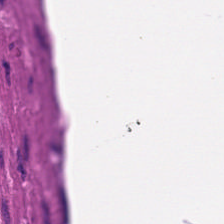H&E stain. The predominant tissue is smooth muscle.
